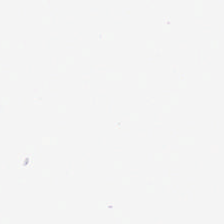H&E-stained tissue section. The field content is empty background.
